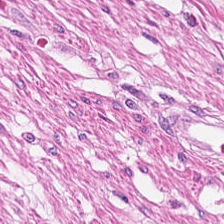This field is smooth-muscle tissue.
